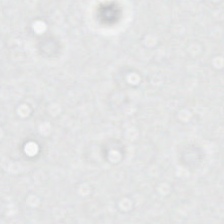Stain: hematoxylin-and-eosin stained section.
Classification: background (no tissue).
